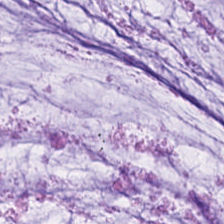H&E. Q: What is the predominant tissue type?
A: This is mucin.
